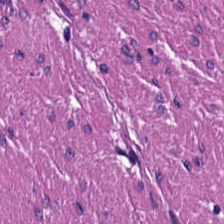H&E. Q: Classify this patch.
A: It is smooth muscle.
